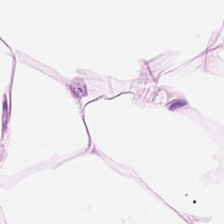Predominant tissue: fat tissue.
